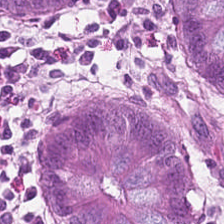Stain: H&E stain.
Acquisition: whole-slide-image patch.
Predominant tissue: normal colon mucosa.
